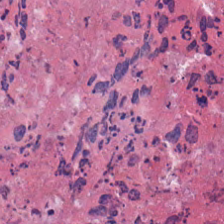Hematoxylin and eosin; FFPE tissue section.
The tissue type is necrotic debris.
